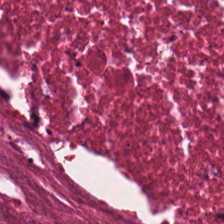Stain: hematoxylin-and-eosin stained section.
Tissue class: debris.
